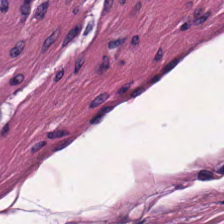H&E — smooth-muscle tissue.
